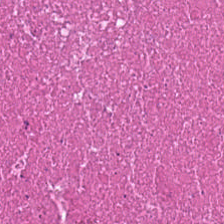{"tissue_type": "debris"}
